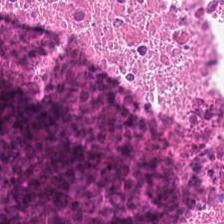20× equivalent magnification; 224×224 pixel tile; H&E — The predominant tissue is debris.
